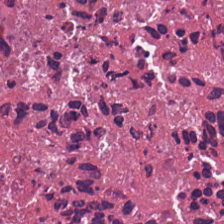FFPE tissue section; brightfield microscopy; H&E stain — Impression — necrotic debris.
